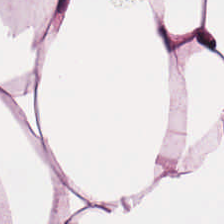H&E — Adipose tissue.
